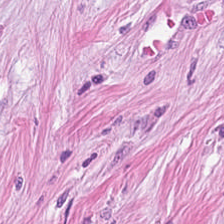Stain: hematoxylin and eosin.
Tissue type: desmoplastic stroma.
